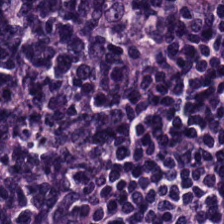H&E. Classification — lymphoid infiltrate.
